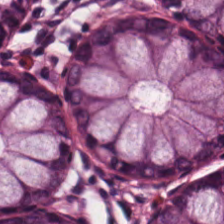H&E-stained tissue section — Tissue class = benign colonic mucosa.
